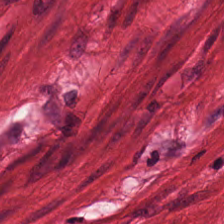0.5 microns per pixel. FFPE tissue section. H&E — This field is muscularis.
